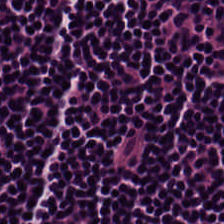H&E stain · 224×224 px tile · brightfield.
Classification — lymphocyte aggregate.
